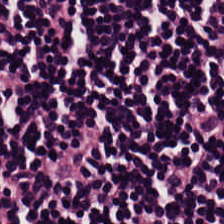Stain: H&E-stained tissue section.
Tissue class: lymphoid infiltrate.
